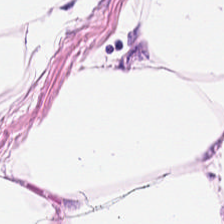Hematoxylin and eosin — Fat tissue.
